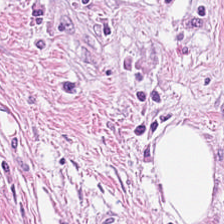H&E. 224×224 pixel tile.
Showing desmoplastic stroma.
